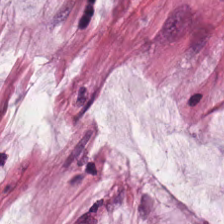Stain: H&E stain.
Classification: extracellular mucin.
